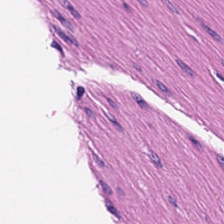Hematoxylin and eosin.
The tissue is smooth-muscle tissue.
